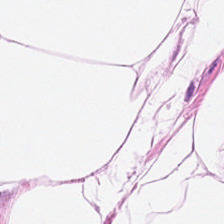Stain: hematoxylin and eosin.
Classification: adipocytes.
